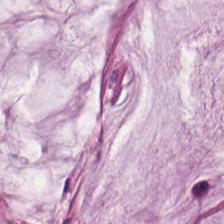Stain: H&E-stained tissue section.
Resolution: 20× equivalent magnification.
Classification: mucin.
